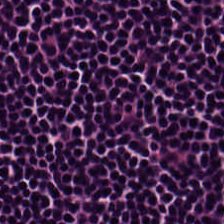Hematoxylin-and-eosin stained section — Tissue class = lymphocytic infiltrate.
